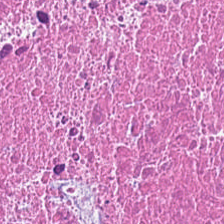H&E stain. The predominant tissue is necrotic debris.
